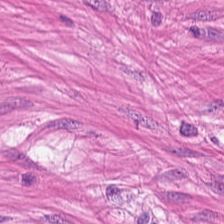H&E-stained tissue section · 0.5 µm per pixel · formalin-fixed paraffin-embedded section — Predominantly smooth-muscle tissue.
